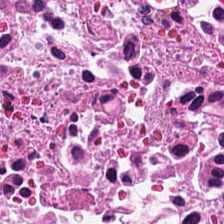Hematoxylin and eosin.
Q: What is shown here?
A: This is necrotic debris.
